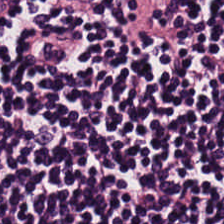Hematoxylin and eosin; FFPE tissue section.
Q: Classify this patch.
A: This is lymphoid infiltrate.
